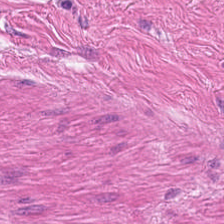H&E patch showing muscularis.
